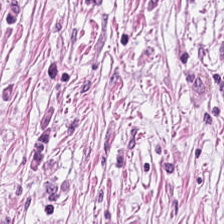H&E — cancer-associated stroma.
